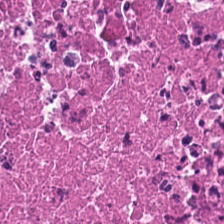Stain: H&E.
Predominant tissue: necrotic debris.
